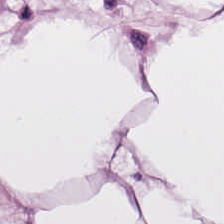H&E — This patch shows adipose.
